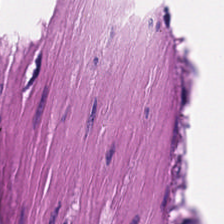Finding → smooth-muscle tissue.
